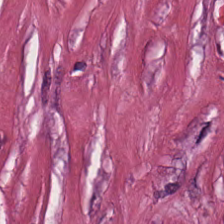0.5 microns per pixel · H&E. The predominant tissue is desmoplastic stroma.
